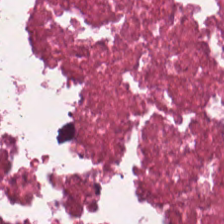H&E · FFPE · 224×224 px patch — The predominant tissue is necrotic debris.
